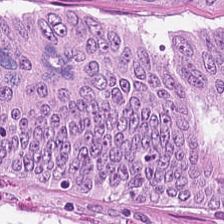H&E-stained tissue section. The predominant tissue is colorectal adenocarcinoma epithelium.
